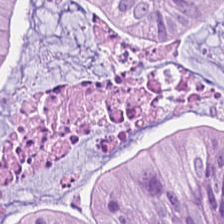Hematoxylin-and-eosin section: colorectal adenocarcinoma.
